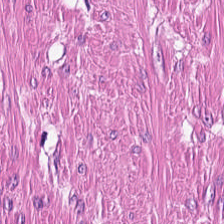Finding → smooth-muscle tissue.
